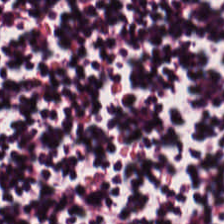Stain: hematoxylin-and-eosin stained section.
Tissue type: lymphoid infiltrate.
